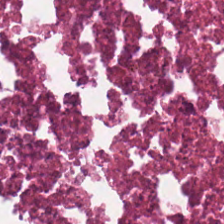Showing necrotic debris.
